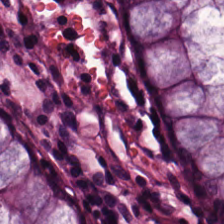H&E stain. This patch shows benign colonic mucosa.
